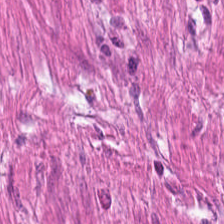The classification is smooth muscle.
